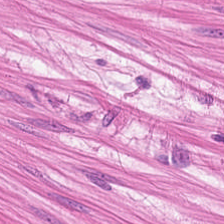Stain: H&E stain.
Acquisition: brightfield microscopy.
Resolution: 0.5 microns per pixel.
Classification: muscularis.
